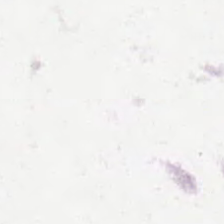Stain: H&E-stained tissue section.
Acquisition: brightfield.
Field content: background.
